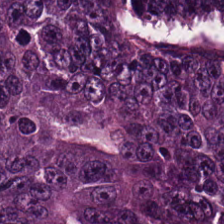Stain: hematoxylin-and-eosin stained section.
Tissue: malignant epithelium.
